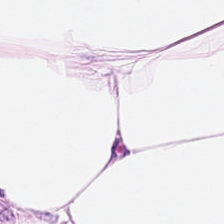Hematoxylin-and-eosin stained section. This field is fat tissue.
